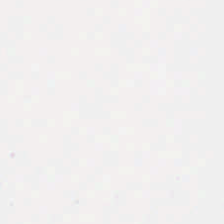Hematoxylin and eosin. Classification = empty background.
